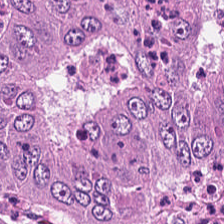H&E · 224×224 px patch. This field is colorectal adenocarcinoma.
